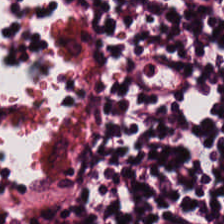H&E. Finding — lymphocytic infiltrate.
